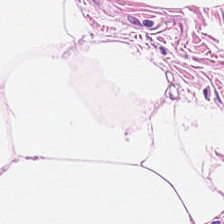H&E stain. WSI patch. The predominant tissue is adipocytes.
